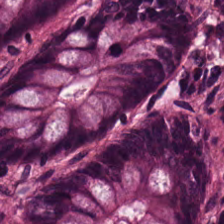Stain: H&E.
Preparation: formalin-fixed paraffin-embedded section.
Tissue class: non-neoplastic colon mucosa.
